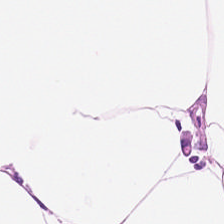H&E stain.
Q: Identify the tissue.
A: Adipose.
